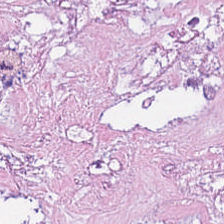Hematoxylin and eosin.
The tissue here is debris.
